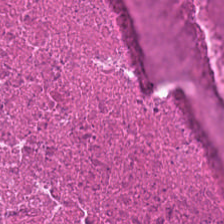Hematoxylin and eosin.
The predominant tissue is necrotic debris.
